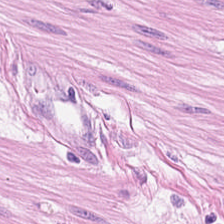{"tissue_type": "smooth muscle"}
